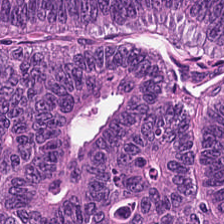H&E-stained tissue section; 20× equivalent magnification.
The predominant tissue is tumor epithelium.
